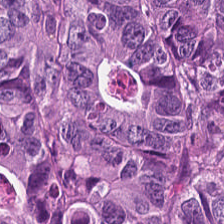H&E stain — The tissue type is malignant epithelium.
